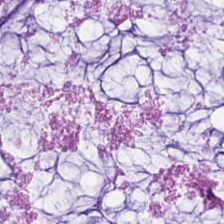Hematoxylin and eosin. The classification is mucin.
